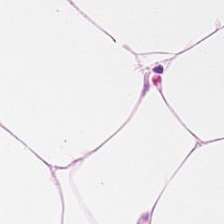20× equivalent magnification. H&E stain — Tissue type — adipose tissue.
